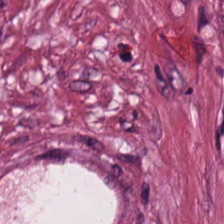Stain: H&E.
Predominant tissue: tumor stroma.
